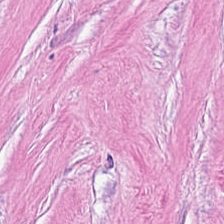H&E. Cancer-associated stroma.
